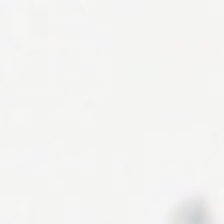H&E-stained tissue section; WSI patch — No tissue present; background only.
